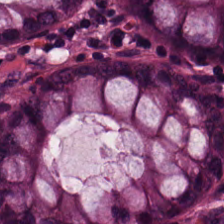Hematoxylin and eosin. Normal colonic mucosa.
